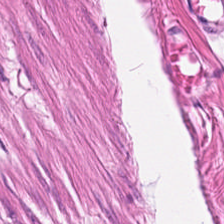H&E-stained tissue section — Showing muscularis.
